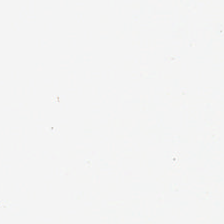H&E-stained tissue section; 224×224 px patch. Impression → no tissue.
